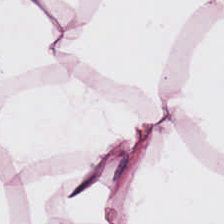H&E-stained tissue section.
Adipose tissue.
